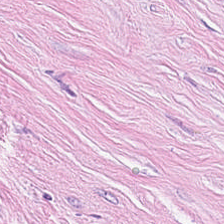Brightfield · H&E-stained tissue section · 0.5 microns per pixel. Cancer-associated stroma.
